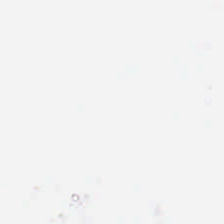H&E stain · 224×224 px patch.
Field content — no tissue.
